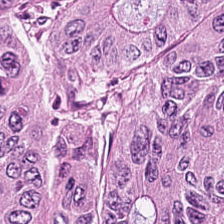Hematoxylin-and-eosin stained section.
Predominant tissue — tumor epithelium.
